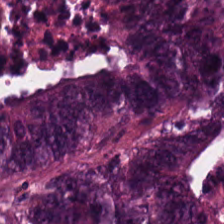H&E stain; 0.5 µm/px — Predominant tissue = malignant epithelium.
